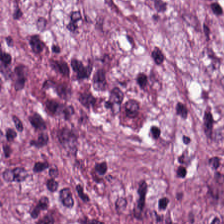Hematoxylin and eosin. 0.5 microns per pixel.
Tumor-associated stroma.
